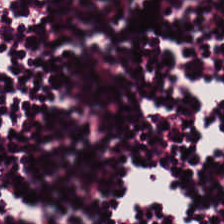Q: What type of tissue is this?
A: It is lymphocytic infiltrate.
